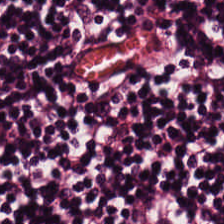H&E stain; formalin-fixed paraffin-embedded section — Impression — lymphocytic infiltrate.
